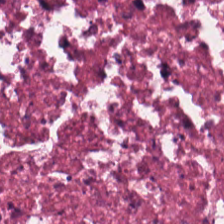Hematoxylin-and-eosin stained section — Tissue class = debris.
